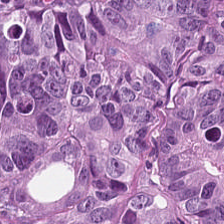Hematoxylin and eosin. Q: What does this patch show?
A: It is tumor epithelium.
